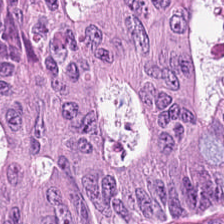Stain: hematoxylin-and-eosin stained section.
Predominant tissue: tumor epithelium.
